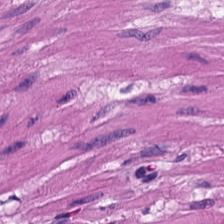H&E stain — The tissue here is muscularis.
